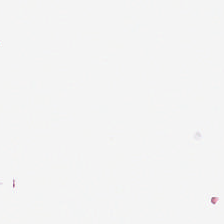0.5 microns per pixel; whole-slide-image patch; H&E-stained tissue section — Background — no tissue in this field.
